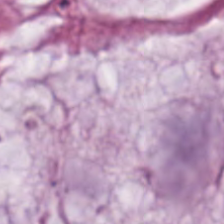Stain: H&E stain.
Preparation: FFPE.
Resolution: 0.5 µm/px.
Tissue type: extracellular mucin.
